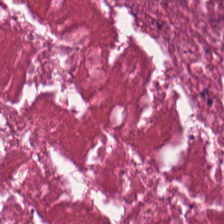H&E — debris.
